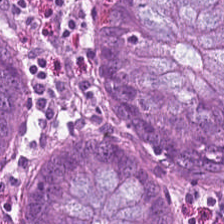Hematoxylin-and-eosin stained section — Tissue class: non-neoplastic colon mucosa.
